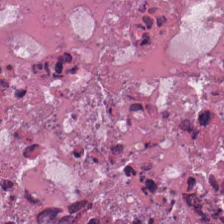FFPE tissue section. H&E stain.
This patch shows cellular debris.
